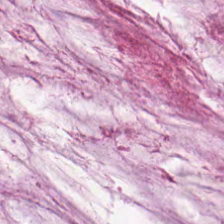H&E.
Classification — extracellular mucin.
